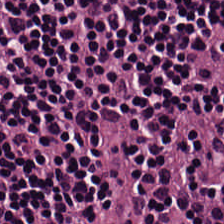Brightfield microscopy · H&E-stained tissue section — This field is lymphocytes.
